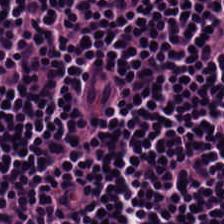Stain: H&E.
Tissue class: lymphocytes.
